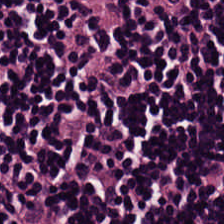H&E patch showing lymphocyte aggregate.
